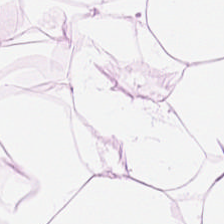H&E-stained tissue section — Showing adipose.
